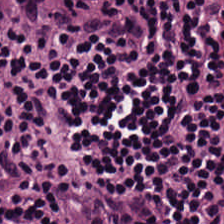224×224 px tile · H&E stain.
Tissue type — lymphocytic infiltrate.
